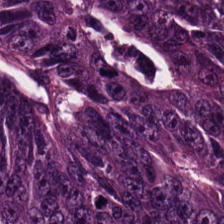H&E stain; 0.5 µm per pixel — Q: What is the predominant tissue type?
A: It is malignant epithelium.
